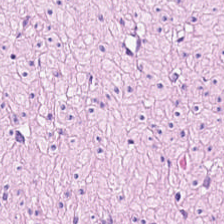Hematoxylin-and-eosin stained section — Showing smooth-muscle tissue.
